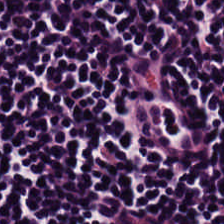H&E · brightfield microscopy — Lymphocytic infiltrate.
